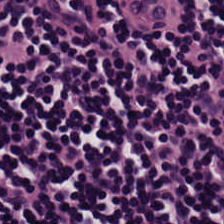Stain: H&E stain.
Tile size: 224×224 pixel tile.
Acquisition: whole-slide-image patch.
Tissue: lymphocytic infiltrate.
